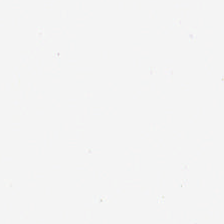Hematoxylin-and-eosin stained section. Impression — background.
